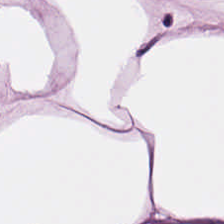Hematoxylin-and-eosin stained section — Classification: adipose.
